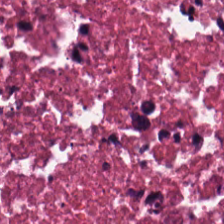Q: What tissue is shown?
A: It is necrotic debris.
